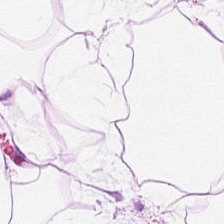Brightfield. H&E stain. Showing adipose tissue.
